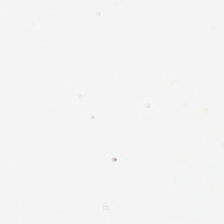H&E stain. FFPE tissue section. This field is background (no tissue).
